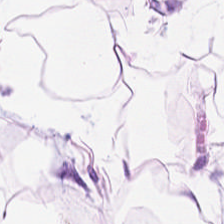H&E patch showing adipose tissue.
